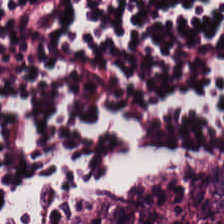Hematoxylin and eosin — This field is lymphocytes.
